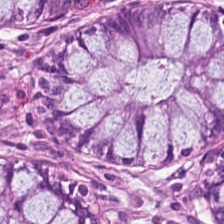H&E-stained tissue section.
Impression → normal colon mucosa.
